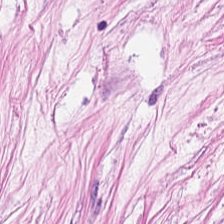224×224 pixel tile; FFPE; H&E-stained tissue section.
Finding — tumor-associated stroma.
